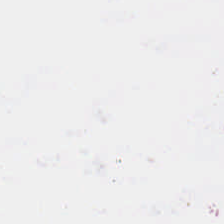Stain: H&E-stained tissue section.
Classification: empty background.
